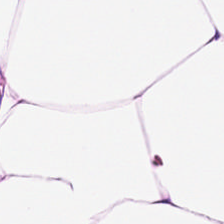Q: Classify this patch.
A: Fat tissue.
